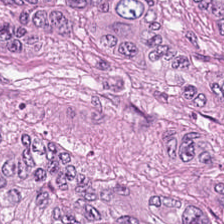0.5 µm per pixel. Formalin-fixed paraffin-embedded section. Hematoxylin and eosin.
This patch shows malignant epithelium.
